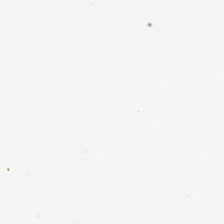Formalin-fixed paraffin-embedded section. Hematoxylin-and-eosin stained section. 224×224 pixel tile.
Histology → background (no tissue).
